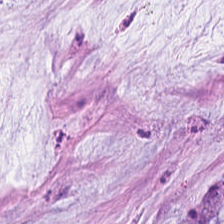H&E stain; formalin-fixed paraffin-embedded section. Mucin.
